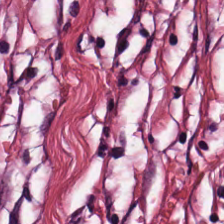The tissue here is cancer-associated stroma.
